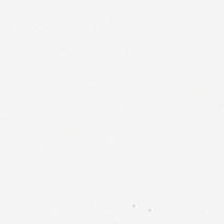Brightfield · hematoxylin-and-eosin stained section.
Field content = background (no tissue).
